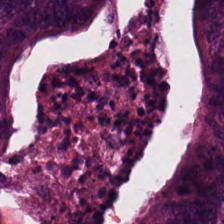The tissue here is colorectal adenocarcinoma epithelium.
